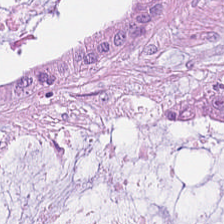Hematoxylin-and-eosin stained section. Brightfield.
Histology — mucus.
